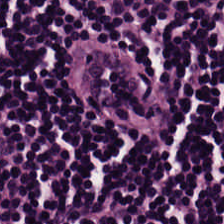Q: What tissue type is shown here?
A: Lymphocytic infiltrate.
